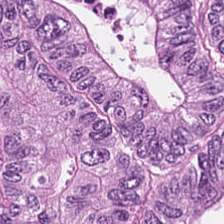Hematoxylin-and-eosin stained section; 0.5 µm/px; brightfield — Histology — malignant epithelium.
